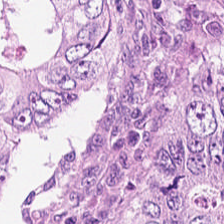FFPE tissue section. 224×224 px patch. H&E-stained tissue section. Predominant tissue: tumor epithelium.
